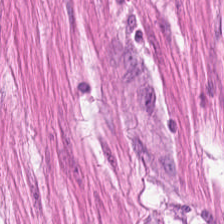H&E stain. The predominant tissue is muscularis.
